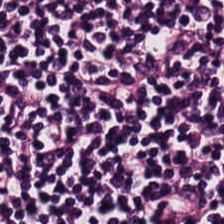H&E. FFPE tissue section — Lymphocytes.
